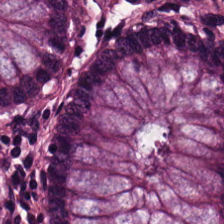Hematoxylin-and-eosin stained section; 0.5 µm/px — {"tissue_type": "normal colon mucosa"}
